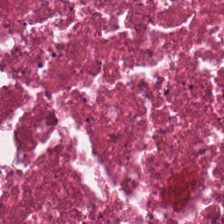Hematoxylin-and-eosin stained section; 0.5 microns per pixel; FFPE tissue section.
Showing cellular debris.
